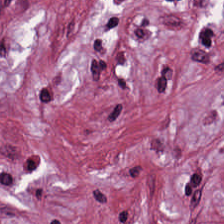Classification — cancer-associated stroma.
